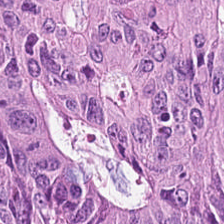FFPE; H&E stain — Q: Identify the tissue.
A: It is tumor epithelium.
